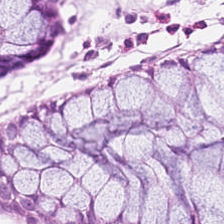Hematoxylin-and-eosin stained section · WSI patch — Predominantly normal colonic mucosa.
